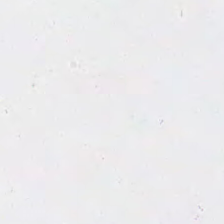Stain: hematoxylin and eosin.
Field content: empty background.
